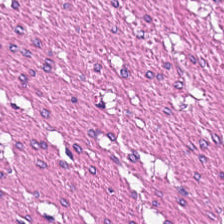Hematoxylin and eosin — Classification: smooth muscle.
